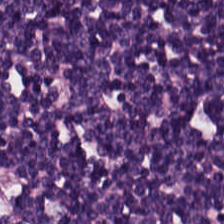Tissue type — lymphocytic infiltrate.
